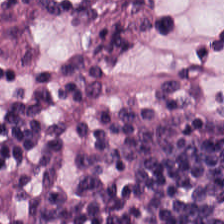Formalin-fixed paraffin-embedded section · hematoxylin and eosin. Q: What is shown here?
A: This is lymphoid infiltrate.
